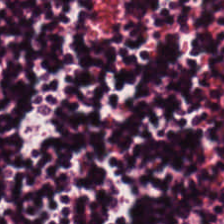WSI patch · hematoxylin and eosin.
Impression — lymphocytes.
